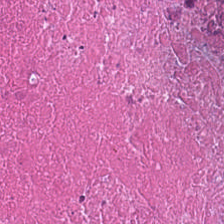Hematoxylin-and-eosin stained section; brightfield microscopy — This field is necrotic debris.
